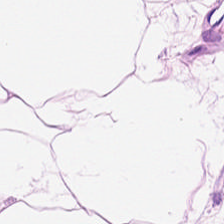Brightfield; hematoxylin-and-eosin stained section.
Histology — adipose tissue.
